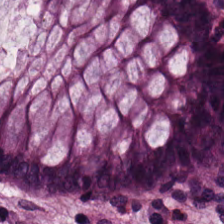H&E; 0.5 microns per pixel — This patch shows benign colonic mucosa.
